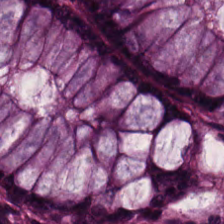Stain: hematoxylin and eosin.
Tissue type: benign colonic mucosa.
